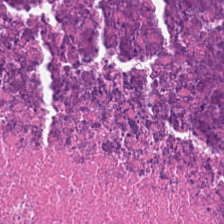224×224 px patch. Hematoxylin-and-eosin stained section — Histology → debris.
